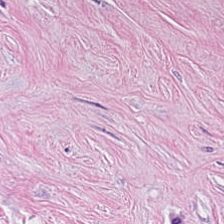{"tissue_type": "tumor stroma"}
